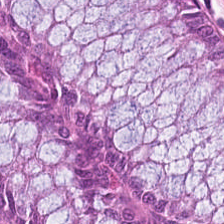0.5 microns per pixel; H&E-stained tissue section; brightfield — Q: What tissue is shown?
A: It is benign colonic mucosa.
